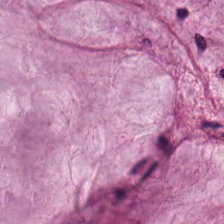Predominantly mucin.
